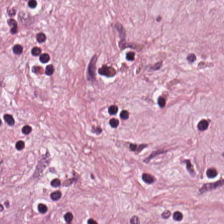0.5 µm per pixel · brightfield · H&E-stained tissue section.
The tissue here is tumor-associated stroma.
